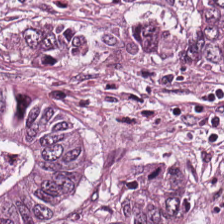H&E stain — Predominantly adenocarcinoma.
